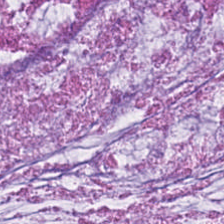Stain: hematoxylin and eosin.
Tissue type: mucus.
